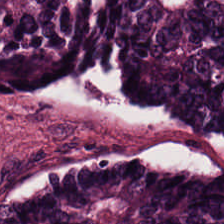Stain: H&E.
Tissue class: colorectal adenocarcinoma epithelium.
